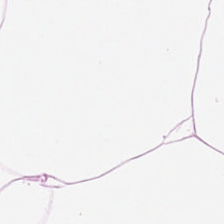Stain: hematoxylin and eosin.
Tissue class: adipose.
